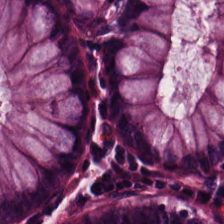Q: What tissue is shown?
A: This is normal colon mucosa.
